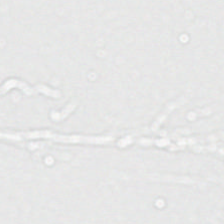Q: What is shown here?
A: This is no tissue.
